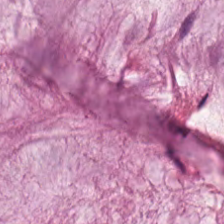H&E; 224×224 pixel tile — Finding — mucin.
